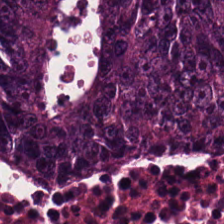Hematoxylin-and-eosin stained section. Tissue: adenocarcinoma.
